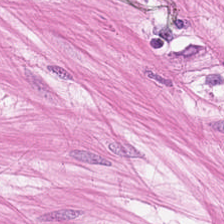Brightfield; FFPE tissue section; H&E.
Q: What type of tissue is this?
A: This is muscularis.
